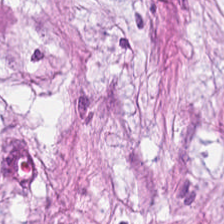Hematoxylin and eosin; 224×224 pixel tile — Tissue class: tumor-associated stroma.
